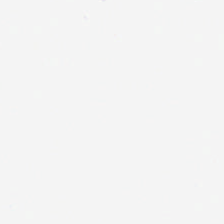H&E stain. Classification: background.
